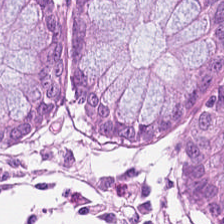H&E · 224×224 px patch.
The tissue is non-neoplastic colon mucosa.
